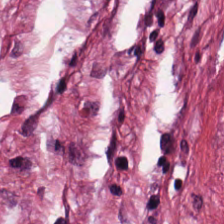H&E-stained tissue section. This patch shows cancer-associated stroma.
